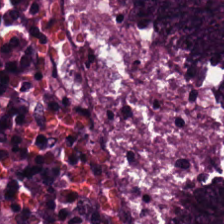224×224 px tile; H&E-stained tissue section; FFPE tissue section. Q: What tissue is shown?
A: It is colorectal adenocarcinoma epithelium.
